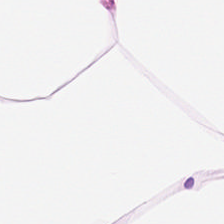H&E-stained tissue section. 224×224 px tile.
Showing adipose tissue.
